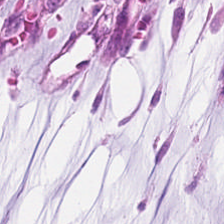H&E stain. Whole-slide-image patch. Q: What is shown here?
A: It is mucin.
